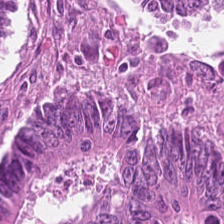H&E-stained tissue section.
The tissue here is malignant epithelium.
